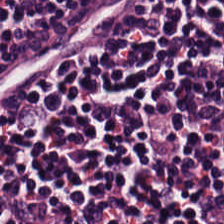Q: What is shown here?
A: It is lymphocytes.
